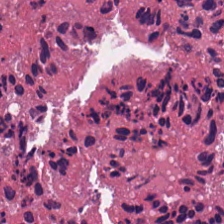Hematoxylin-and-eosin stained section.
Q: What tissue type is shown here?
A: Cellular debris.
